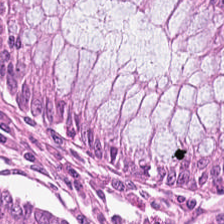Hematoxylin-and-eosin stained section. 0.5 µm per pixel — Q: What is shown here?
A: Benign colonic mucosa.
